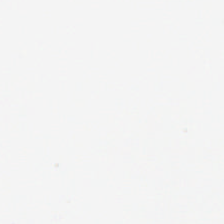H&E. Content: background (no tissue).
